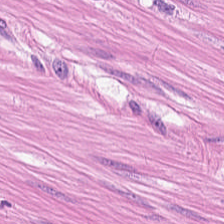224×224 px patch. H&E.
Tissue type = smooth-muscle tissue.
